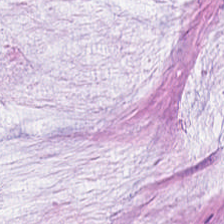Stain: H&E stain.
Predominant tissue: mucus.
